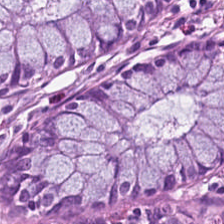H&E stain — Q: What type of tissue is this?
A: The field shows non-neoplastic colon mucosa.
